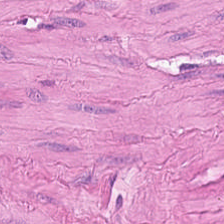H&E — Classification: smooth-muscle tissue.
